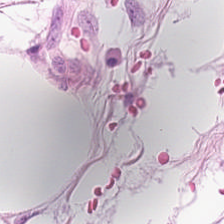Predominantly adipocytes.
